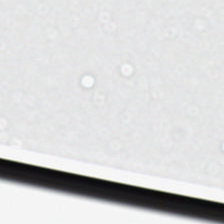Stain: H&E-stained tissue section.
Classification: no tissue.
